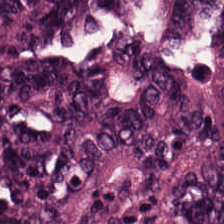Brightfield microscopy. Formalin-fixed paraffin-embedded section. H&E.
Predominantly colorectal adenocarcinoma.
